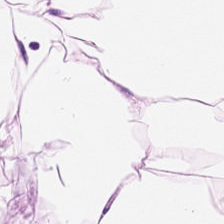Hematoxylin and eosin — {"tissue_type": "adipose tissue"}
